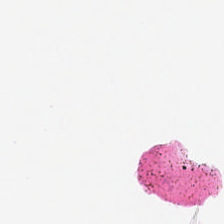Stain: H&E-stained tissue section.
Preparation: FFPE.
Tile size: 224×224 px patch.
Classification: empty background.
